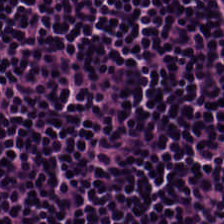H&E — Histology → lymphocytic infiltrate.
